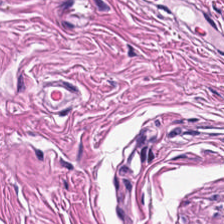Finding — smooth muscle.
